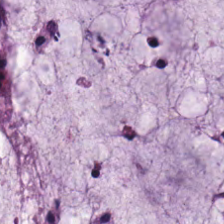Whole-slide-image patch. Hematoxylin-and-eosin stained section. Formalin-fixed paraffin-embedded section. Tissue class = extracellular mucin.
